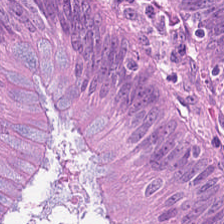20× equivalent magnification; hematoxylin and eosin. The tissue class is colorectal adenocarcinoma.
